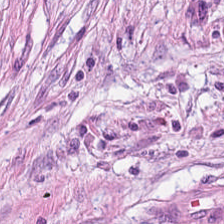H&E stain — This patch shows desmoplastic stroma.
